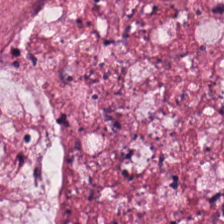H&E stain · 224×224 pixel tile. The predominant tissue is mucus.
